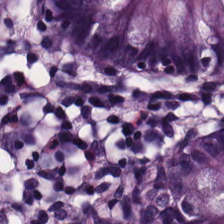The tissue is non-neoplastic colon mucosa.
